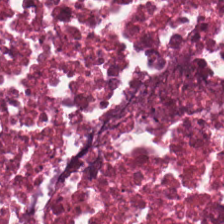Hematoxylin and eosin. Predominantly debris.
